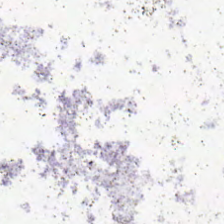H&E. No tissue.
